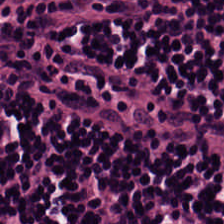Impression — lymphocytes.
